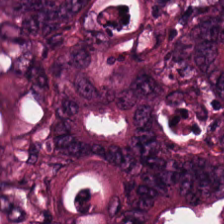Hematoxylin-and-eosin stained section — Histology → tumor epithelium.
